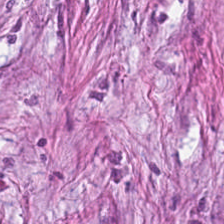This patch shows cancer-associated stroma.
